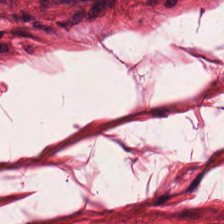Hematoxylin-and-eosin stained section · formalin-fixed paraffin-embedded section · brightfield — The tissue is smooth muscle.
